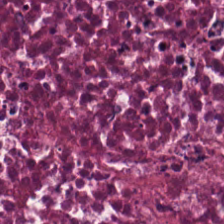Hematoxylin-and-eosin stained section. FFPE tissue section. Whole-slide-image patch. Classification = debris.
